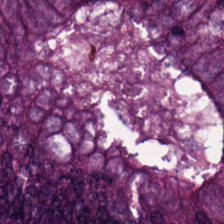Hematoxylin and eosin · 224×224 px patch.
Finding → colorectal adenocarcinoma.
